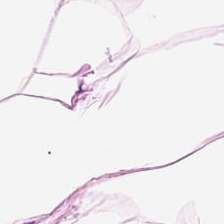224×224 pixel tile · hematoxylin and eosin · whole-slide-image patch. This patch shows adipose tissue.
